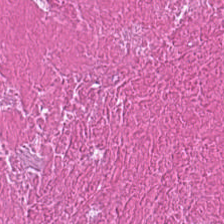0.5 µm per pixel · hematoxylin-and-eosin stained section.
Cellular debris.
